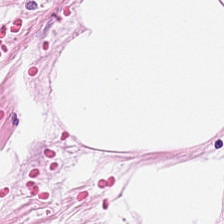0.5 microns per pixel. H&E-stained tissue section. Tissue class = fat tissue.
